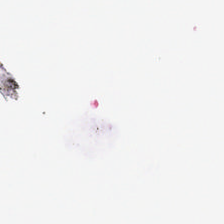No tissue present; background only.
